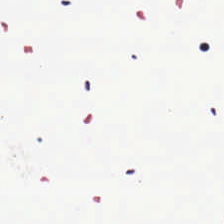This field is background (no tissue).
